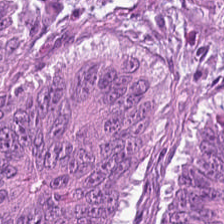H&E-stained tissue section — Tissue: colorectal adenocarcinoma epithelium.
